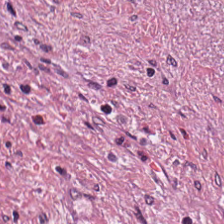H&E. FFPE tissue section. Tissue type — tumor stroma.
